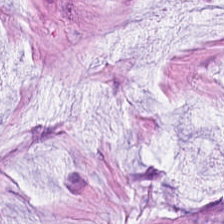Hematoxylin and eosin.
Predominantly extracellular mucin.
